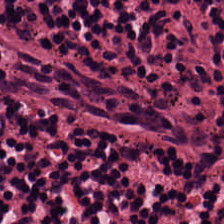0.5 µm per pixel · 224×224 px patch · hematoxylin-and-eosin stained section.
Q: What is shown here?
A: Lymphoid infiltrate.
